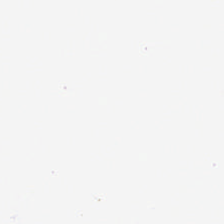Q: What does this patch show?
A: The field shows empty background.
